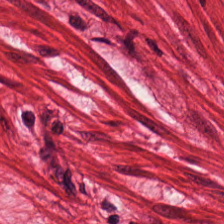H&E stain. WSI patch. 0.5 µm/px.
This field is smooth-muscle tissue.
